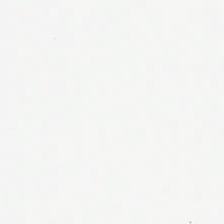H&E stain. 224×224 pixel tile — Background.
